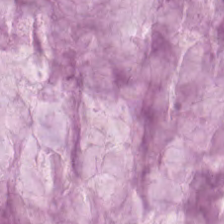FFPE tissue section · H&E stain — Q: What is shown in this field?
A: It is mucin.
